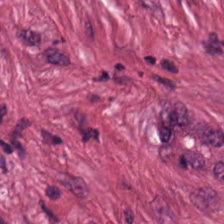Formalin-fixed paraffin-embedded section; H&E stain; 224×224 pixel tile — {"tissue_type": "tumor stroma"}
